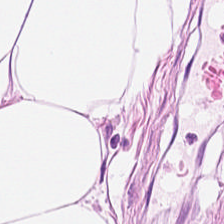224×224 pixel tile · H&E stain. The tissue here is adipose.
